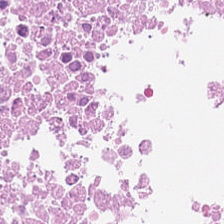Stain: hematoxylin-and-eosin stained section.
Tissue class: cellular debris.
